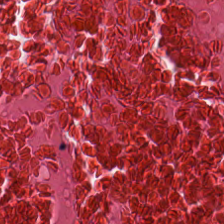Histology → debris.
